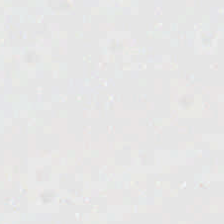H&E stain.
No tissue.
